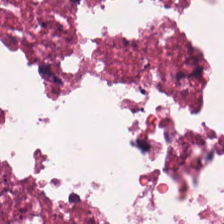Stain: hematoxylin and eosin.
Resolution: 0.5 µm per pixel.
Tissue: cellular debris.
